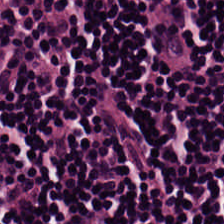Tissue type — lymphocytic infiltrate.
